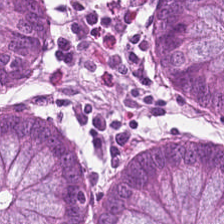FFPE. 0.5 µm per pixel. H&E-stained tissue section.
The predominant tissue is non-neoplastic colon mucosa.
